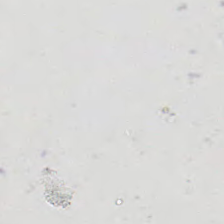H&E-stained tissue section. 0.5 µm per pixel. Formalin-fixed paraffin-embedded section. Content: background (no tissue).
